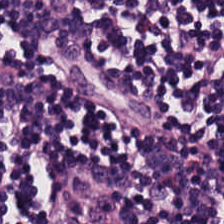Histology → lymphocyte aggregate.
